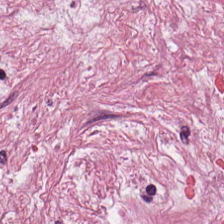The predominant tissue is tumor-associated stroma.
